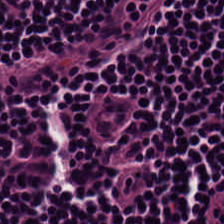Stain: hematoxylin-and-eosin stained section.
Resolution: 20× equivalent magnification.
Tissue: lymphocytes.
